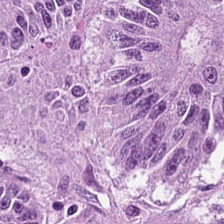Hematoxylin and eosin.
Q: What is shown here?
A: Tumor epithelium.
